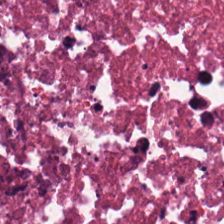H&E-stained tissue section — Q: Classify this patch.
A: Necrotic debris.
